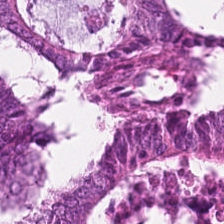H&E. {"tissue_type": "adenocarcinoma"}
